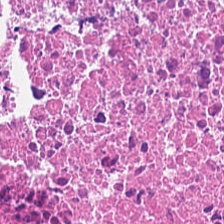Stain: H&E stain.
Tile size: 224×224 px tile.
Tissue type: cellular debris.
